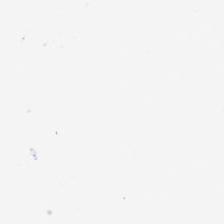0.5 microns per pixel. Hematoxylin and eosin — Q: What is shown in this field?
A: This is background (no tissue).
